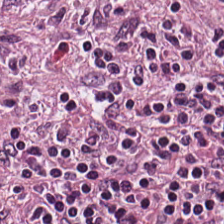224×224 px tile; brightfield; H&E stain.
Q: What does this patch show?
A: It is lymphoid infiltrate.
